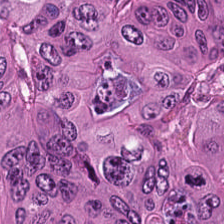Hematoxylin-and-eosin section: malignant epithelium.
